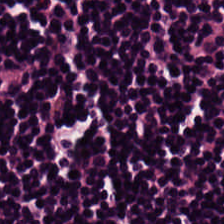Stain: H&E.
Preparation: FFPE tissue section.
Acquisition: whole-slide-image patch.
Classification: lymphocyte aggregate.
